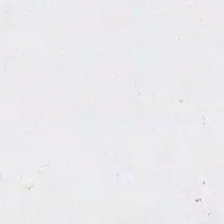Hematoxylin-and-eosin stained section. This field is background (no tissue).
